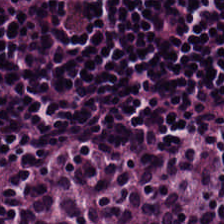Hematoxylin-and-eosin stained section — This field is lymphocyte aggregate.
